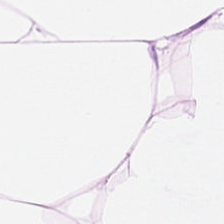H&E.
Classification = fat tissue.
